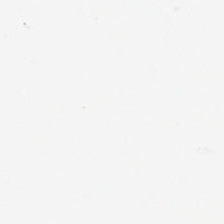H&E stain. Q: What does this patch show?
A: This is background.
